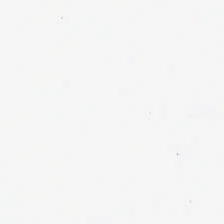Stain: hematoxylin-and-eosin stained section.
Classification: background (no tissue).
